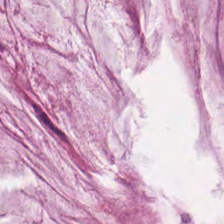224×224 pixel tile. H&E-stained tissue section. The predominant tissue is mucus.
